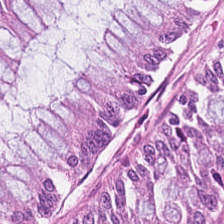Stain: H&E.
Tissue class: normal colonic mucosa.
